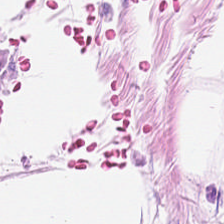FFPE · H&E stain — Showing adipose.
